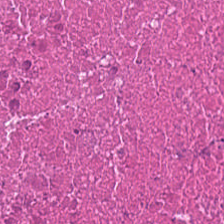Tissue type = cellular debris.
